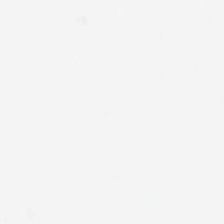H&E. Background — no tissue in this field.
